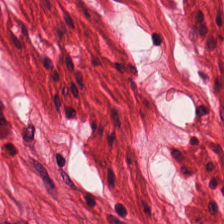This field is smooth muscle.
